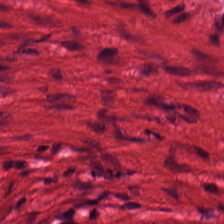H&E. Whole-slide-image patch. Tissue class — smooth-muscle tissue.
